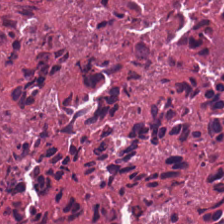{"tissue_type": "debris"}
